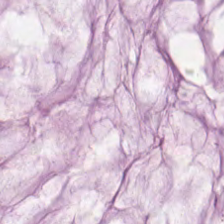224×224 px tile · hematoxylin-and-eosin stained section — The tissue here is mucin.
